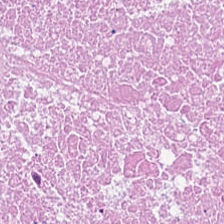H&E-stained tissue section.
This field is necrotic debris.
